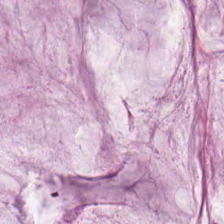224×224 px patch. Hematoxylin and eosin.
The tissue here is mucus.
